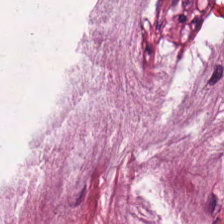H&E-stained tissue section — This field is mucin.
